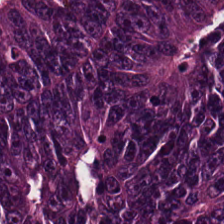Formalin-fixed paraffin-embedded section; hematoxylin-and-eosin stained section.
This field is colorectal adenocarcinoma epithelium.
